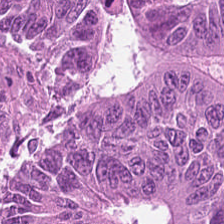224×224 pixel tile · H&E.
Q: What is shown in this field?
A: Adenocarcinoma.
